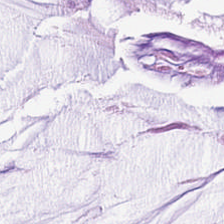FFPE; H&E stain; 0.5 µm/px.
Q: What is shown here?
A: This is mucus.
